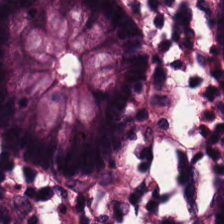{"tissue_type": "non-neoplastic colon mucosa"}
